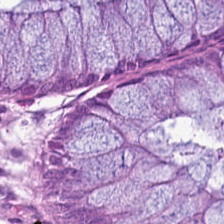Hematoxylin and eosin; 0.5 µm per pixel.
Tissue type = non-neoplastic colon mucosa.
